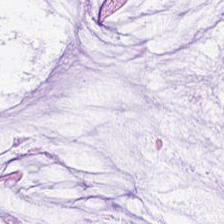Brightfield microscopy; H&E-stained tissue section. {"tissue_type": "extracellular mucin"}
